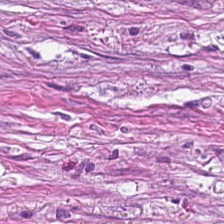H&E. {"tissue_type": "cancer-associated stroma"}
